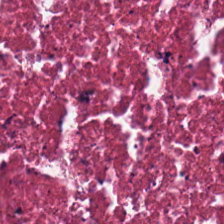Stain: hematoxylin and eosin.
Tissue: necrotic debris.
